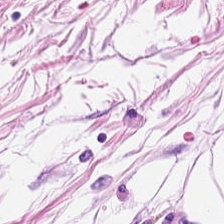Hematoxylin-and-eosin stained section.
Q: What does this patch show?
A: It is fat tissue.
